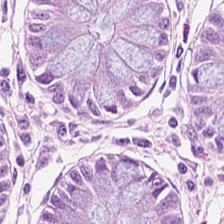Stain: H&E stain.
Tile size: 224×224 px patch.
Predominant tissue: normal colonic mucosa.
